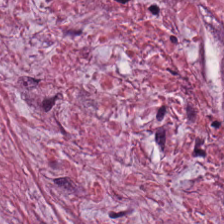Hematoxylin and eosin — Showing desmoplastic stroma.
